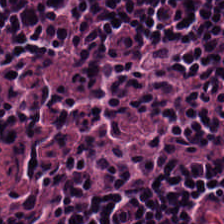Stain: hematoxylin and eosin.
Acquisition: brightfield microscopy.
Tissue type: lymphocytic infiltrate.
